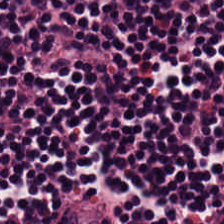H&E; FFPE tissue section; 0.5 µm/px — Showing lymphocyte aggregate.
